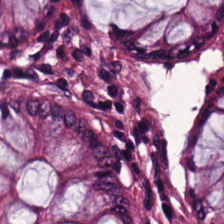H&E-stained tissue section.
Predominantly normal colonic mucosa.
